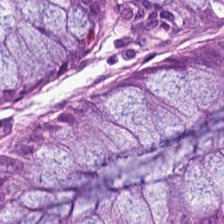Finding → benign colonic mucosa.
